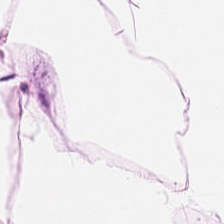Hematoxylin and eosin.
This field is adipocytes.
